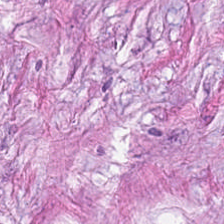Hematoxylin-and-eosin stained section — This field is cancer-associated stroma.
